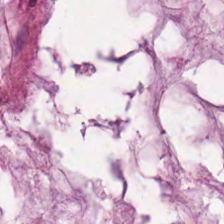H&E-stained tissue section. 224×224 pixel tile. Tissue class = mucin.
